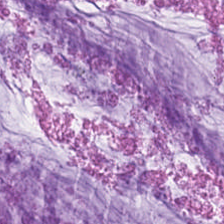H&E stain; 0.5 µm/px. Q: What type of tissue is this?
A: Mucin.
